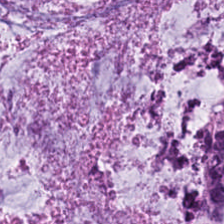Stain: H&E.
Tissue class: mucus.
